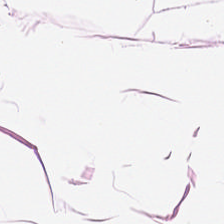H&E — Predominantly fat tissue.
